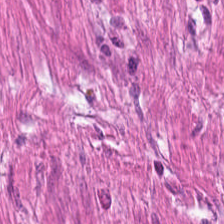224×224 px tile. 0.5 µm per pixel. H&E — Muscularis.
